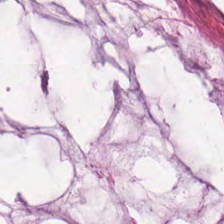The tissue type is mucus.
